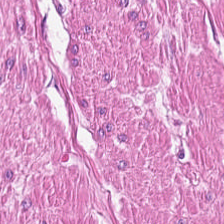Hematoxylin-and-eosin stained section.
The predominant tissue is smooth muscle.
